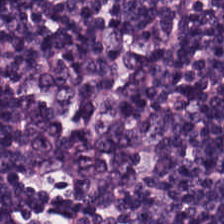Hematoxylin-and-eosin stained section. Q: What tissue is shown?
A: It is lymphoid infiltrate.
